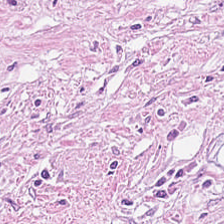Stain: H&E stain.
Tissue type: desmoplastic stroma.
